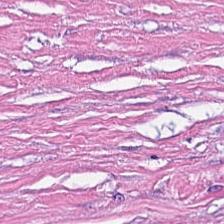H&E stain. Tumor stroma.
